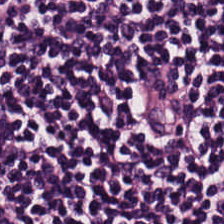Hematoxylin and eosin — {"tissue_type": "lymphocytes"}
